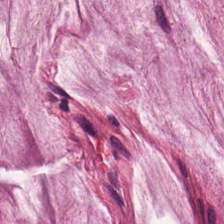224×224 pixel tile · H&E.
Showing extracellular mucin.
